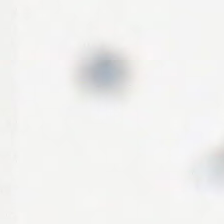This field is background (no tissue).
